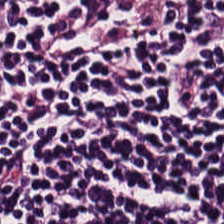H&E. This field is lymphoid infiltrate.
